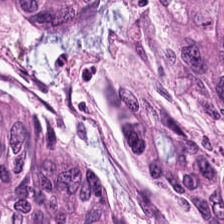Tissue type — colorectal adenocarcinoma epithelium.
